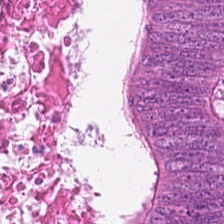0.5 µm/px. Hematoxylin-and-eosin stained section. Whole-slide-image patch — {"tissue_type": "adenocarcinoma"}
